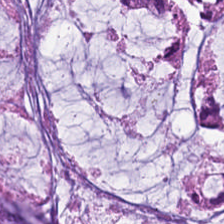Impression — mucin.
